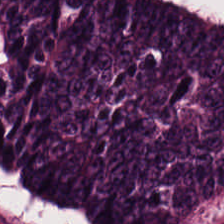FFPE tissue section · H&E.
Impression — adenocarcinoma.
